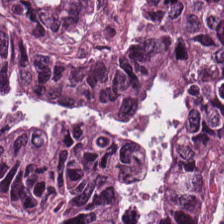Hematoxylin-and-eosin stained section. 0.5 µm/px. Impression — colorectal adenocarcinoma.
